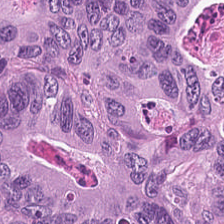Tissue class — tumor epithelium.
